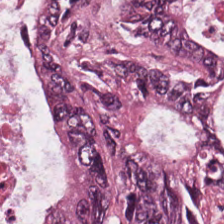H&E stain.
Q: What type of tissue is this?
A: This is colorectal adenocarcinoma epithelium.
